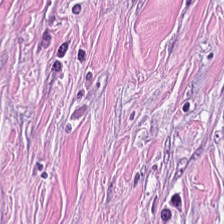Q: What tissue is shown?
A: The field shows tumor-associated stroma.
